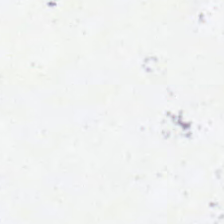Stain: H&E-stained tissue section.
Content: no tissue.
